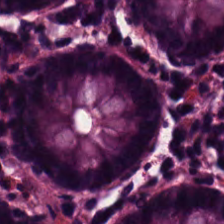Q: Classify this patch.
A: Benign colonic mucosa.
